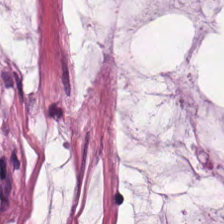H&E-stained section; the field shows extracellular mucin.
